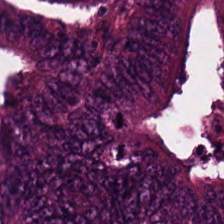Q: What is the predominant tissue type?
A: This is adenocarcinoma.
